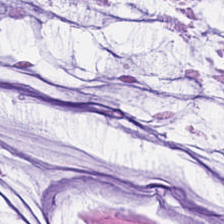H&E-stained tissue section. FFPE tissue section. WSI patch — The predominant tissue is mucin.
